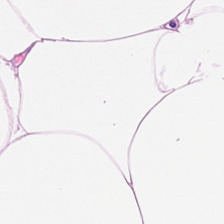Stain: hematoxylin-and-eosin stained section.
Predominant tissue: adipocytes.
